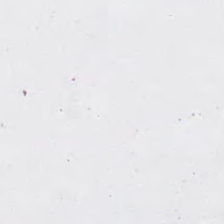Brightfield microscopy; 224×224 px patch; H&E — Classification — empty background.
